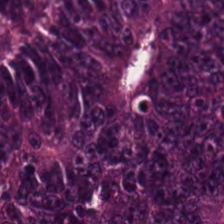Stain: H&E stain.
Resolution: 20× equivalent magnification.
Tissue type: colorectal adenocarcinoma epithelium.
